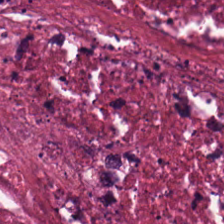Brightfield; H&E stain. Q: What is shown in this field?
A: The field shows cellular debris.
